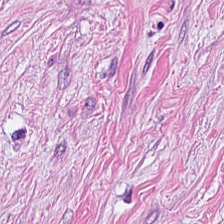H&E-stained tissue section; 0.5 microns per pixel; 224×224 pixel tile — The tissue here is desmoplastic stroma.
